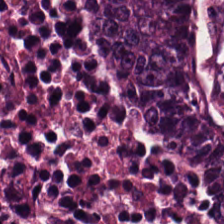FFPE. Hematoxylin and eosin. 0.5 µm/px — The tissue here is colorectal adenocarcinoma.
